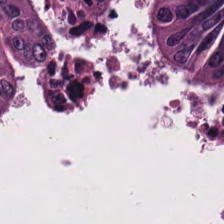Hematoxylin and eosin. The tissue here is tumor epithelium.
